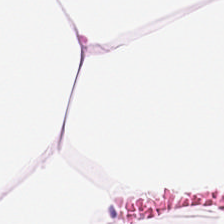Impression → fat tissue.
